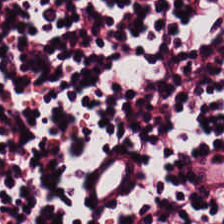0.5 µm/px; H&E-stained tissue section.
This patch shows lymphoid infiltrate.
